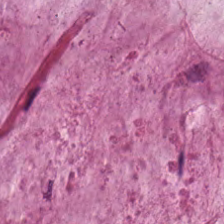Predominant tissue — mucus.
